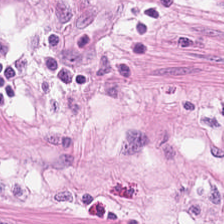H&E stain.
Finding — smooth muscle.
